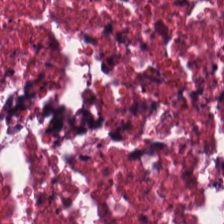Q: Identify the tissue.
A: The field shows cellular debris.
